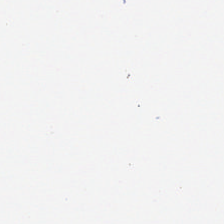Q: What is shown here?
A: It is background.
